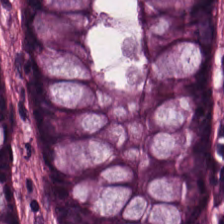Q: What is shown in this field?
A: The field shows benign colonic mucosa.
